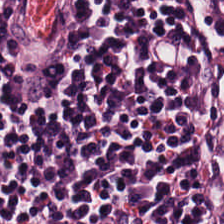Impression — lymphocyte aggregate.
